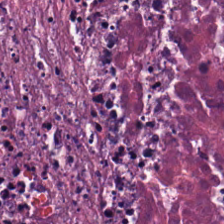H&E — Predominant tissue = debris.
